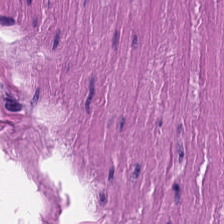FFPE; H&E-stained tissue section; brightfield microscopy. Muscularis.
